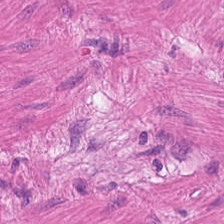H&E-stained tissue section. This patch shows smooth muscle.
